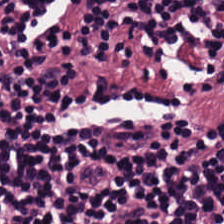Tissue type: lymphocytes.
